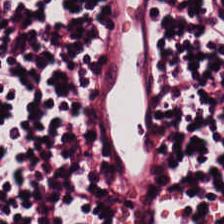Hematoxylin-and-eosin stained section.
The tissue class is lymphocytic infiltrate.
